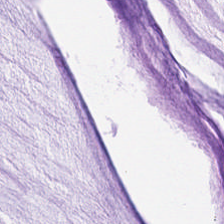Stain: H&E-stained tissue section.
Tissue class: mucin.
